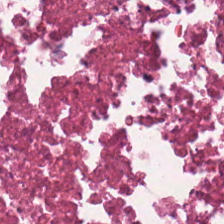Stain: hematoxylin-and-eosin stained section.
Classification: necrotic debris.
